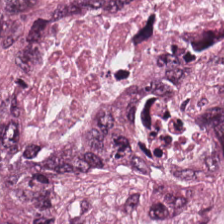H&E.
The tissue here is adenocarcinoma.
